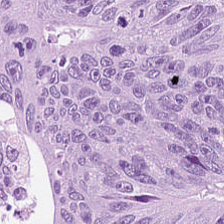Stain: H&E-stained tissue section.
Tissue class: colorectal adenocarcinoma.
